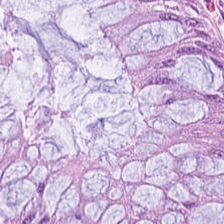Stain: hematoxylin and eosin.
Tissue class: normal colon mucosa.
